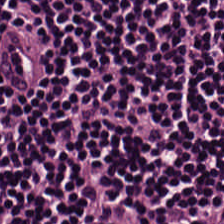Stain: H&E stain.
Tissue class: lymphocytes.
